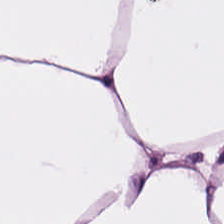Classification = fat tissue.
